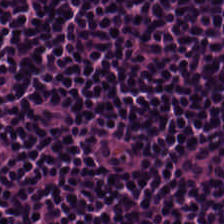Tissue: lymphocytes.
